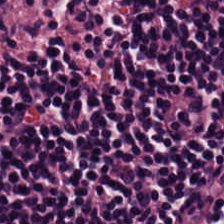H&E-stained tissue section. Brightfield.
This patch shows lymphocyte aggregate.
